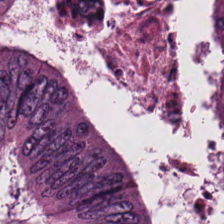Stain: H&E.
Predominant tissue: colorectal adenocarcinoma epithelium.
